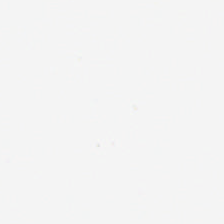Hematoxylin-and-eosin stained section · 224×224 px tile — Classification = background (no tissue).
